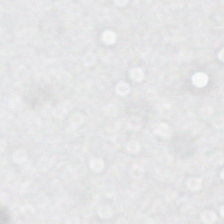Stain: H&E-stained tissue section.
Preparation: formalin-fixed paraffin-embedded section.
Tile size: 224×224 pixel tile.
Field content: no tissue.
